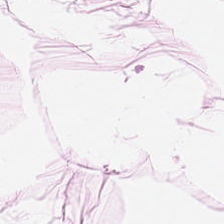224×224 px patch. H&E stain. Formalin-fixed paraffin-embedded section. Q: What tissue is shown?
A: The field shows adipose tissue.
